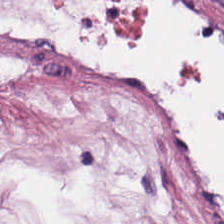Stain: H&E stain.
Predominant tissue: adipose.
